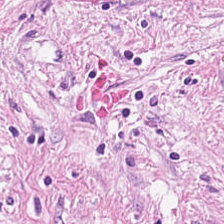Stain: hematoxylin-and-eosin stained section.
Tissue class: tumor-associated stroma.
